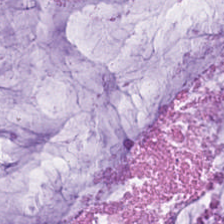Stain: H&E.
Tissue type: mucin.
